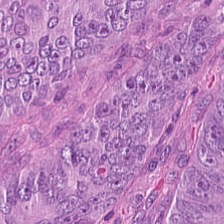Hematoxylin and eosin. Tissue — malignant epithelium.
